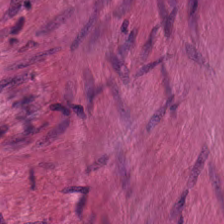H&E-stained tissue section · formalin-fixed paraffin-embedded section — Impression → smooth-muscle tissue.
